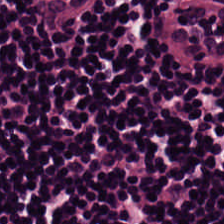Hematoxylin and eosin.
Predominantly lymphocytic infiltrate.
